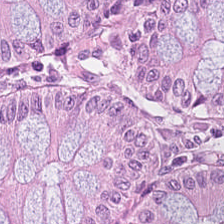FFPE tissue section; 20× equivalent magnification; hematoxylin-and-eosin stained section.
Histology → normal colon mucosa.
